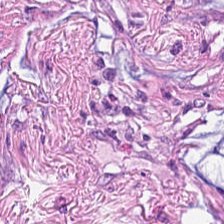{"tissue_type": "tumor stroma"}
